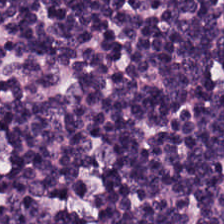Hematoxylin-and-eosin stained section — The classification is lymphocytic infiltrate.
